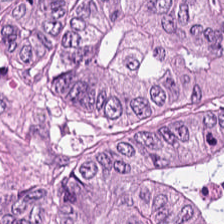Tissue type: malignant epithelium.
